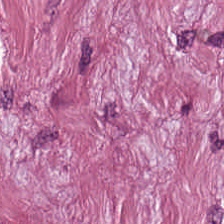H&E stain — Classification: desmoplastic stroma.
